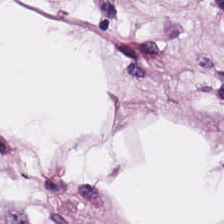Hematoxylin and eosin — Showing fat tissue.
